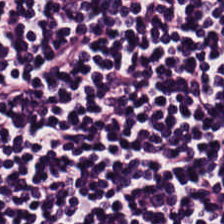H&E-stained tissue section.
Lymphocytic infiltrate.
